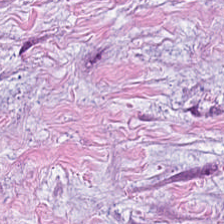Showing tumor-associated stroma.
